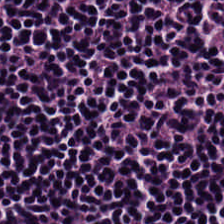H&E-stained tissue section; FFPE tissue section. Finding — lymphocytic infiltrate.
